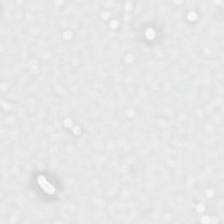Hematoxylin-and-eosin stained section. Q: What is shown here?
A: This is background (no tissue).
